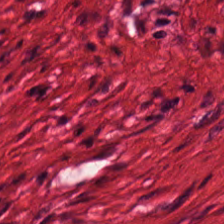Formalin-fixed paraffin-embedded section. Hematoxylin and eosin — This patch shows muscularis.
